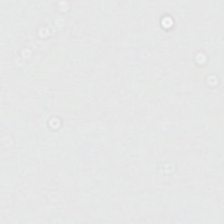H&E stain. Q: What is shown here?
A: It is empty background.
